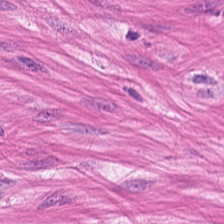H&E-stained section; the field shows muscularis.
